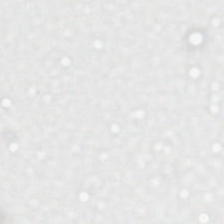H&E stain.
Q: What does this patch show?
A: This is background (no tissue).
